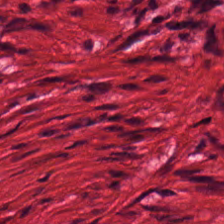Stain: H&E-stained tissue section.
Classification: smooth muscle.
